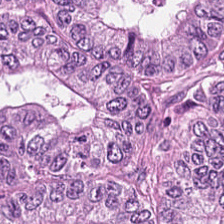Formalin-fixed paraffin-embedded section · hematoxylin-and-eosin stained section. Impression → adenocarcinoma.
